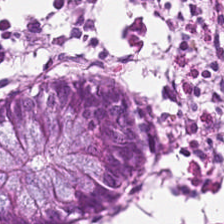FFPE · 20× equivalent magnification · hematoxylin-and-eosin stained section.
Predominant tissue = normal colon mucosa.
